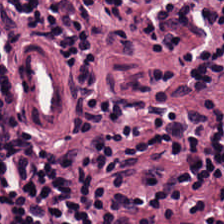224×224 pixel tile. Hematoxylin-and-eosin stained section. Tissue class = lymphocytic infiltrate.
